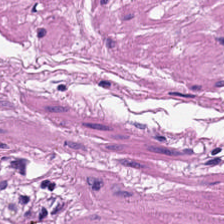Hematoxylin-and-eosin stained section. Predominantly smooth-muscle tissue.
